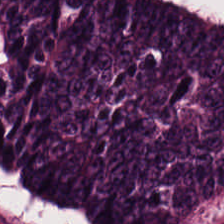Malignant epithelium.
